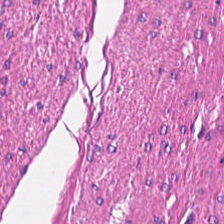Hematoxylin-and-eosin stained section; formalin-fixed paraffin-embedded section; whole-slide-image patch.
Q: What type of tissue is this?
A: This is muscularis.
